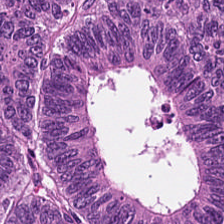0.5 µm per pixel · H&E stain. Finding → adenocarcinoma.
